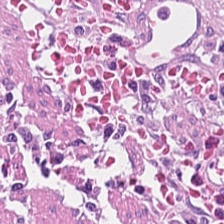Whole-slide-image patch · H&E-stained tissue section · FFPE.
Q: What tissue type is shown here?
A: This is tumor stroma.
